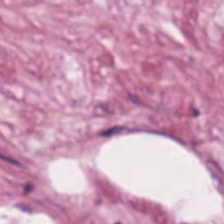224×224 px tile. Hematoxylin-and-eosin stained section — The classification is tumor-associated stroma.
